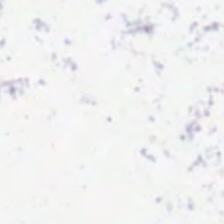Empty field — no tissue.
